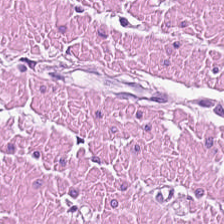Hematoxylin-and-eosin stained section; formalin-fixed paraffin-embedded section — Classification: smooth-muscle tissue.
